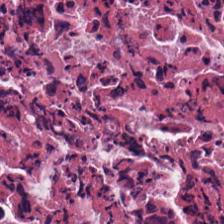H&E stain · 224×224 px tile — Cellular debris.
